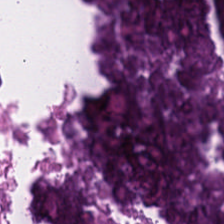Hematoxylin-and-eosin stained section · 224×224 px tile — Predominant tissue — cellular debris.
